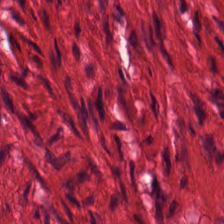0.5 microns per pixel; H&E — Showing muscularis.
